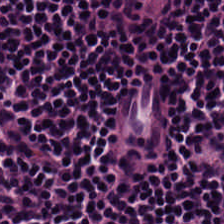224×224 pixel tile. Hematoxylin and eosin. Predominantly lymphoid infiltrate.
